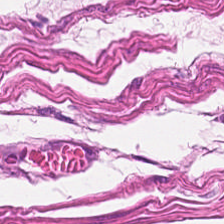224×224 px tile. Hematoxylin-and-eosin stained section — Impression → muscularis.
